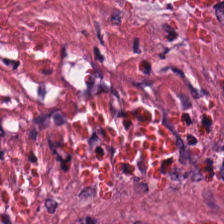H&E stain — Q: What is the predominant tissue type?
A: Tumor stroma.
